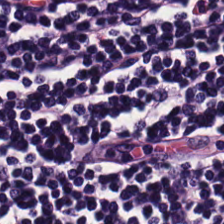Hematoxylin and eosin. 224×224 px tile. 20× equivalent magnification.
Showing lymphocyte aggregate.
